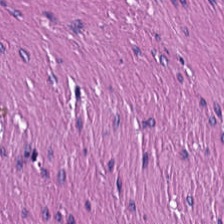H&E stain — {"tissue_type": "smooth muscle"}
